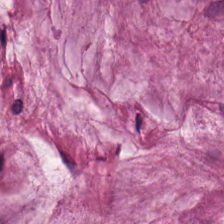Hematoxylin-and-eosin stained section.
Q: What type of tissue is this?
A: It is extracellular mucin.
